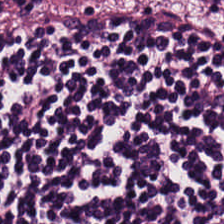Hematoxylin and eosin — Lymphocytes.
